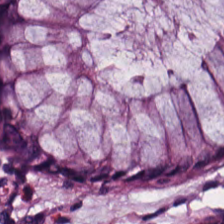Finding → normal colon mucosa.
